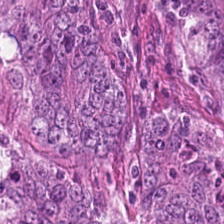The tissue here is colorectal adenocarcinoma.
